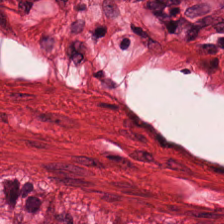Brightfield · H&E stain — Classification: smooth-muscle tissue.
